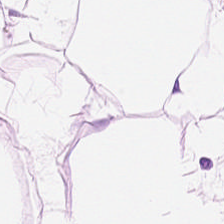H&E stain — This field is adipose tissue.
